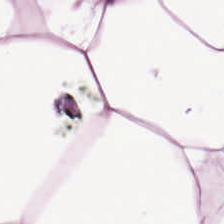H&E — Q: What does this patch show?
A: This is adipocytes.
